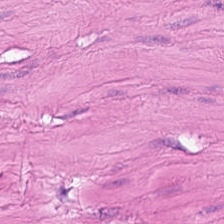H&E stain. 0.5 µm per pixel. FFPE — This field is smooth-muscle tissue.
